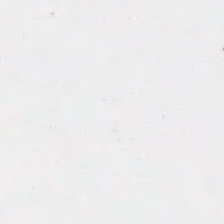Stain: hematoxylin-and-eosin stained section.
Content: no tissue.
